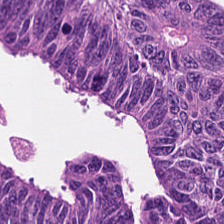H&E-stained tissue section; brightfield. Q: What is the predominant tissue type?
A: The field shows colorectal adenocarcinoma.
